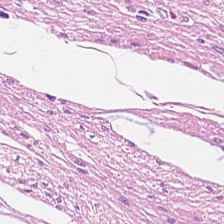Tissue class = smooth muscle.
